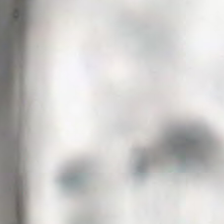H&E stain. 20× equivalent magnification.
No tissue present; background only.
